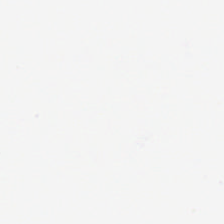Histology → empty background.
